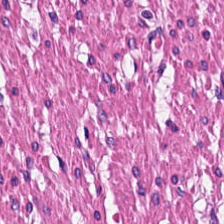Brightfield microscopy. 0.5 µm per pixel. H&E.
Tissue: smooth-muscle tissue.
